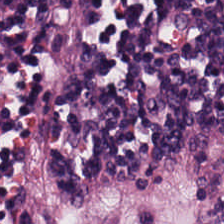Q: Classify this patch.
A: Lymphocytes.
